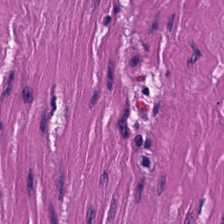Hematoxylin-and-eosin stained section. Smooth muscle.
